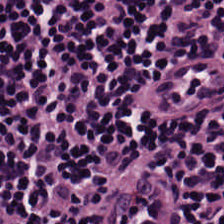Q: What type of tissue is this?
A: It is lymphoid infiltrate.
